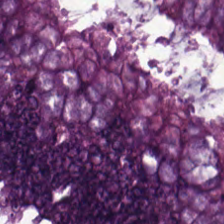Hematoxylin and eosin. This field is adenocarcinoma.
